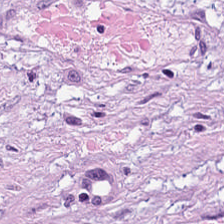H&E-stained tissue section. Q: What type of tissue is this?
A: It is tumor stroma.
